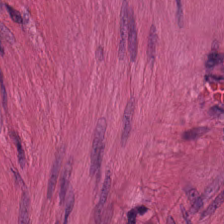Q: What is the predominant tissue type?
A: Smooth-muscle tissue.
